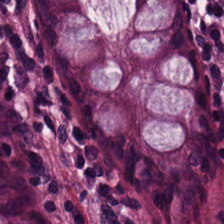Showing normal colonic mucosa.
